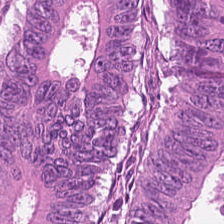FFPE tissue section; H&E. Finding — colorectal adenocarcinoma.
